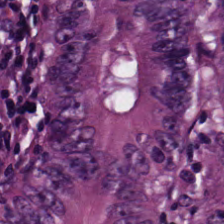H&E-stained section; the field shows malignant epithelium.
